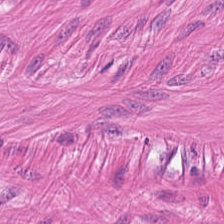Hematoxylin-and-eosin stained section — Predominantly muscularis.
